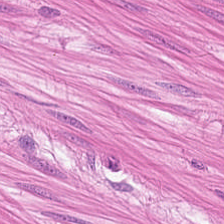0.5 microns per pixel; H&E-stained tissue section.
Showing smooth-muscle tissue.
